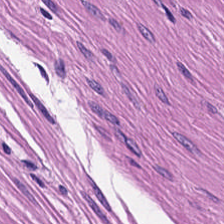H&E stain · 0.5 µm/px · FFPE. Q: What is the predominant tissue type?
A: The field shows smooth muscle.
